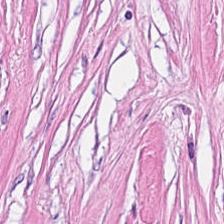Stain: hematoxylin and eosin.
Classification: tumor-associated stroma.
